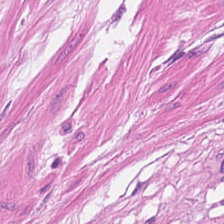Hematoxylin-and-eosin stained section.
The classification is smooth muscle.
